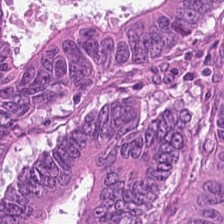H&E.
Classification: colorectal adenocarcinoma.
